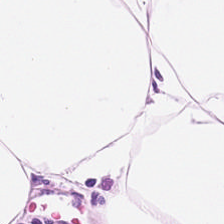H&E-stained section; the field shows fat tissue.
